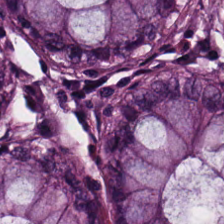H&E-stained tissue section — Q: What tissue type is shown here?
A: Normal colon mucosa.
